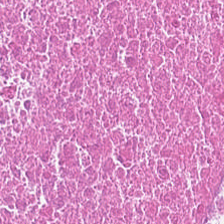WSI patch; hematoxylin-and-eosin stained section — Classification: debris.
